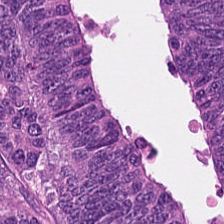Hematoxylin and eosin. 224×224 pixel tile.
The tissue here is malignant epithelium.
